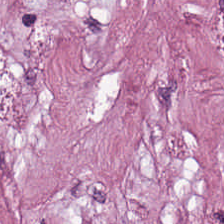0.5 µm/px. H&E stain — Desmoplastic stroma.
